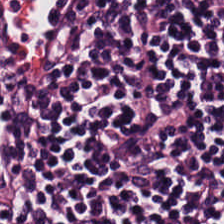H&E — Finding → lymphocytic infiltrate.
